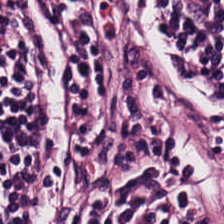Hematoxylin and eosin; 224×224 px patch.
Histology — lymphocytic infiltrate.
